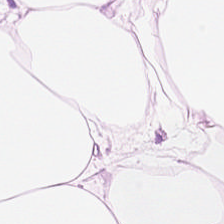Stain: H&E stain.
Tissue class: adipocytes.
